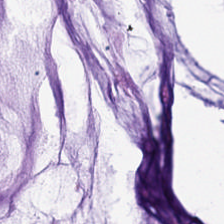H&E.
Mucin.
